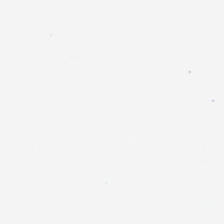FFPE tissue section · H&E-stained tissue section · WSI patch.
Content — no tissue.
